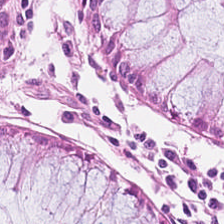Brightfield; 20× equivalent magnification; hematoxylin and eosin. The tissue type is benign colonic mucosa.
